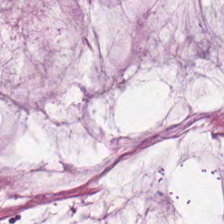Formalin-fixed paraffin-embedded section; 224×224 pixel tile; hematoxylin-and-eosin stained section.
Extracellular mucin.
